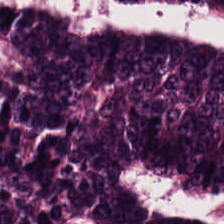H&E-stained tissue section showing colorectal adenocarcinoma epithelium.
